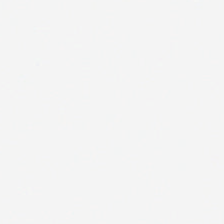{"content": "empty background"}
